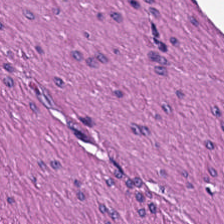Hematoxylin and eosin · 0.5 µm per pixel — Predominant tissue: smooth-muscle tissue.
